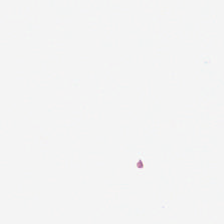Background — no tissue in this field.
